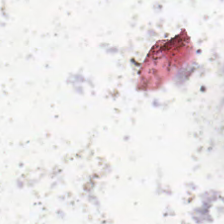Hematoxylin-and-eosin stained section · 224×224 pixel tile. This patch shows background.
